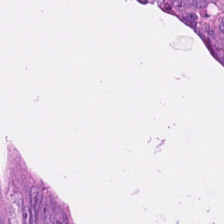Tissue type = adenocarcinoma.
